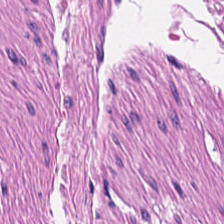Q: What type of tissue is this?
A: Smooth muscle.
